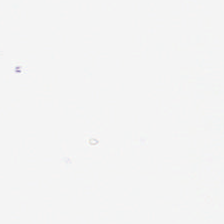Hematoxylin-and-eosin stained section. Histology — empty background.
